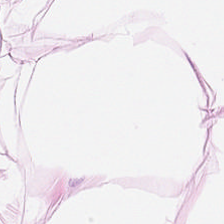Hematoxylin and eosin — This patch shows adipose tissue.
